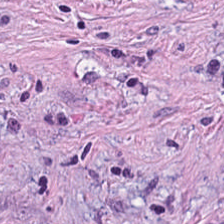H&E-stained tissue section.
The classification is cancer-associated stroma.
